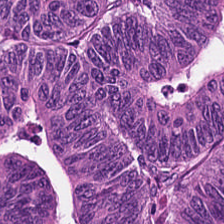0.5 µm per pixel · hematoxylin-and-eosin stained section · FFPE.
Histology → malignant epithelium.
